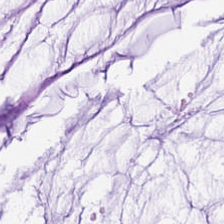0.5 microns per pixel · hematoxylin and eosin.
Q: Identify the tissue.
A: Mucin.
